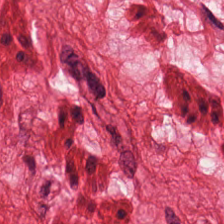H&E. This field is smooth-muscle tissue.
